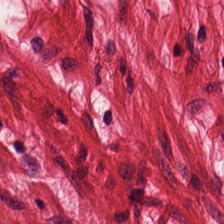Predominant tissue = smooth-muscle tissue.
